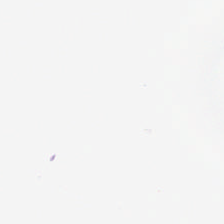H&E. Brightfield microscopy. 224×224 px patch. Classification = no tissue.
